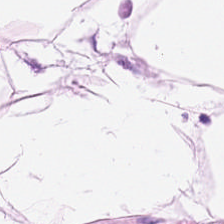Predominantly adipose.
